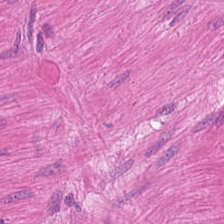This patch shows smooth-muscle tissue.
